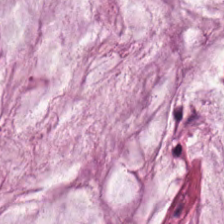Stain: hematoxylin and eosin.
Classification: mucus.
